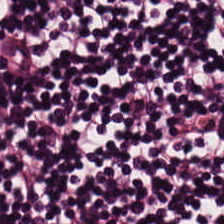H&E-stained tissue section showing lymphocytic infiltrate.
